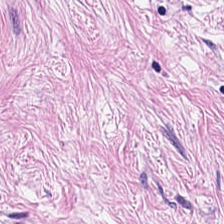H&E stain.
The tissue is cancer-associated stroma.
